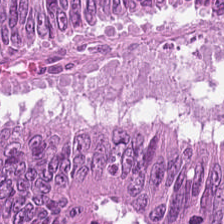H&E stain — Predominantly tumor epithelium.
